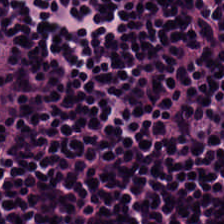FFPE; H&E; 224×224 px patch.
Predominantly lymphocytic infiltrate.
